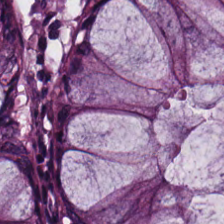The predominant tissue is normal colon mucosa.
